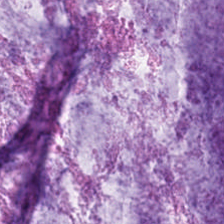Hematoxylin-and-eosin stained section. Q: What is shown in this field?
A: Mucin.
